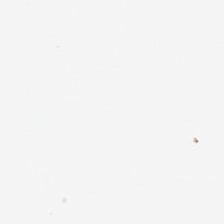H&E stain. 0.5 µm/px. Brightfield. Q: What is shown here?
A: The field shows background.
